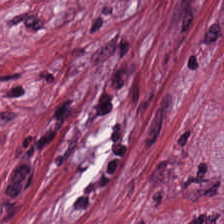Histology — desmoplastic stroma.
